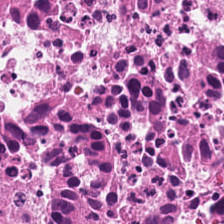FFPE tissue section · H&E-stained tissue section.
The tissue here is necrotic debris.
